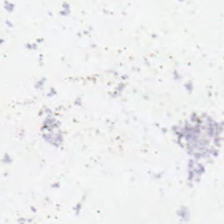Brightfield · H&E — No tissue present; background only.
